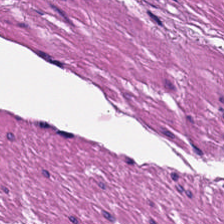H&E stain. The classification is muscularis.
